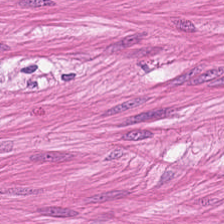Hematoxylin and eosin. FFPE tissue section.
Q: What tissue is shown?
A: The field shows muscularis.
